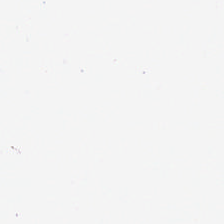Stain: H&E-stained tissue section.
Resolution: 20× equivalent magnification.
Acquisition: brightfield.
Classification: background (no tissue).
